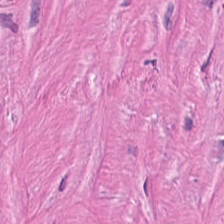Showing tumor stroma.
